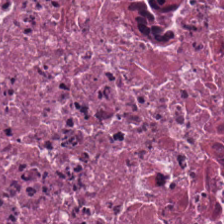Formalin-fixed paraffin-embedded section; 20× equivalent magnification; hematoxylin-and-eosin stained section — Q: Classify this patch.
A: Necrotic debris.
